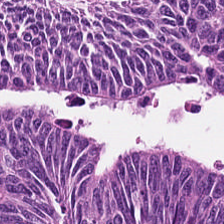Q: Identify the tissue.
A: It is tumor epithelium.
